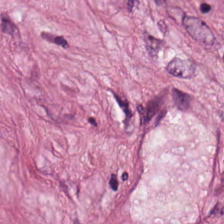Stain: hematoxylin-and-eosin stained section.
Tissue type: tumor-associated stroma.
